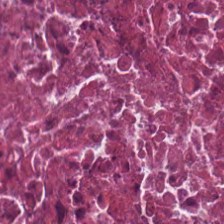Necrotic debris.
